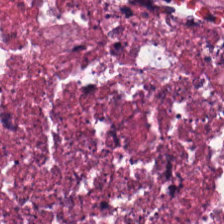Q: What is the predominant tissue type?
A: This is debris.
